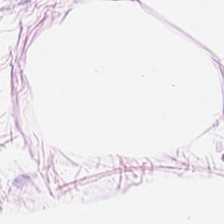Adipose tissue.
